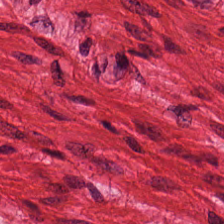H&E stain. {"tissue_type": "smooth muscle"}
